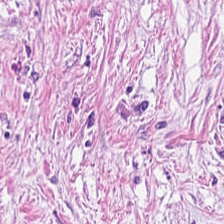Q: What tissue type is shown here?
A: Cancer-associated stroma.
